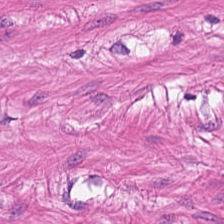Hematoxylin-and-eosin stained section.
Classification — smooth-muscle tissue.
